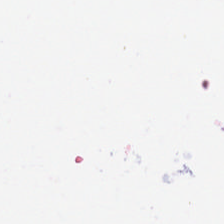H&E stain — Q: What is shown here?
A: Background (no tissue).
